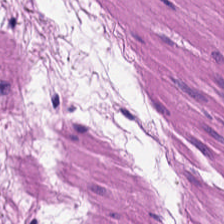Hematoxylin and eosin.
The tissue type is muscularis.
